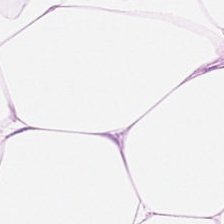H&E stain.
Predominantly adipose tissue.
